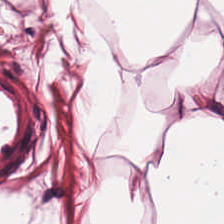Stain: H&E.
Predominant tissue: adipose tissue.
